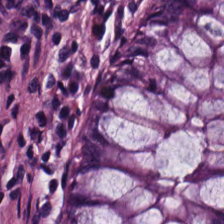Stain: hematoxylin-and-eosin stained section.
Tile size: 224×224 pixel tile.
Tissue: non-neoplastic colon mucosa.
